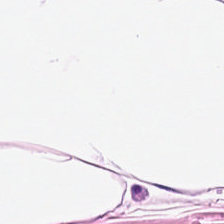Stain: hematoxylin and eosin.
Tissue class: adipose tissue.
